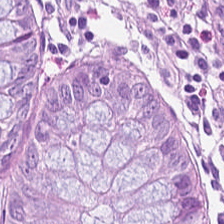H&E-stained tissue section showing normal colon mucosa.
